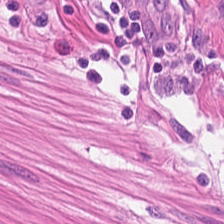H&E. Q: What tissue type is shown here?
A: This is smooth-muscle tissue.
